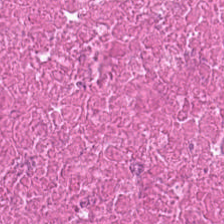H&E-stained tissue section. The tissue here is cellular debris.
